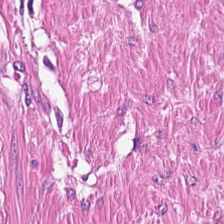224×224 px tile · H&E · brightfield. {"tissue_type": "muscularis"}
